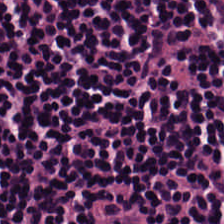Hematoxylin-and-eosin section: lymphocyte aggregate.
